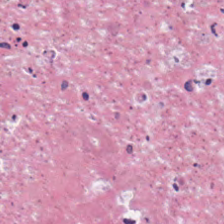224×224 pixel tile; H&E; FFPE. This field is necrotic debris.
